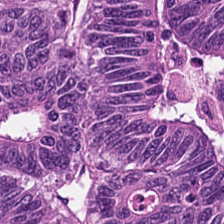H&E stain.
Q: What type of tissue is this?
A: The field shows tumor epithelium.
